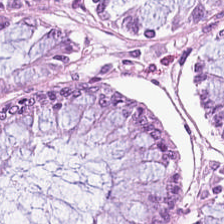Histology → normal colon mucosa.
